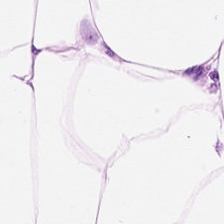H&E-stained tissue section — Q: What is the predominant tissue type?
A: It is adipocytes.
